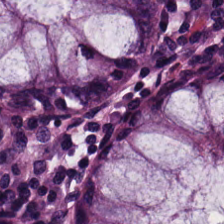Hematoxylin-and-eosin stained section. 224×224 px patch.
Tissue type = normal colonic mucosa.
